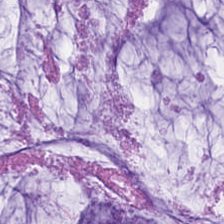H&E. Classification — mucin.
